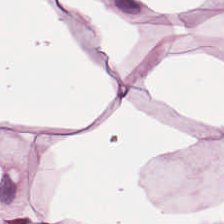Tissue: adipocytes.
